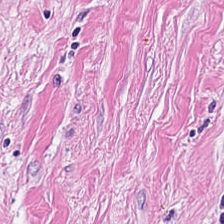Stain: hematoxylin and eosin.
Acquisition: WSI patch.
Predominant tissue: tumor stroma.
